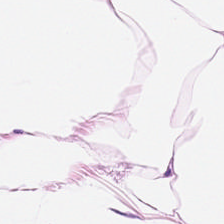0.5 microns per pixel; H&E — Q: Identify the tissue.
A: This is adipocytes.
